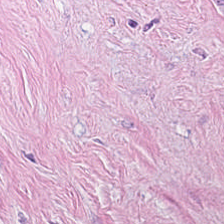H&E stain.
This field is tumor stroma.
